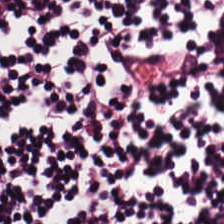H&E-stained tissue section.
{"tissue_type": "lymphocyte aggregate"}
